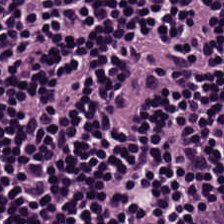H&E-stained tissue section — Tissue = lymphocyte aggregate.
